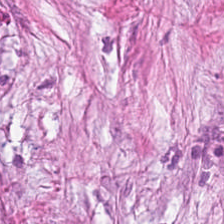Stain: H&E.
Preparation: FFPE.
Tissue: cancer-associated stroma.
